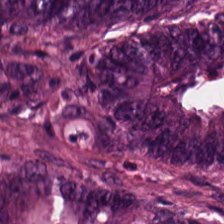Whole-slide-image patch. H&E-stained tissue section. 0.5 µm per pixel.
Q: What type of tissue is this?
A: This is malignant epithelium.
